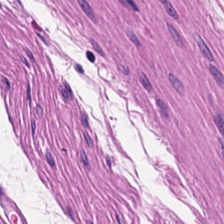Hematoxylin and eosin. Finding → smooth muscle.
